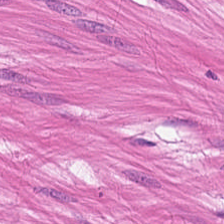Hematoxylin-and-eosin stained section. Predominant tissue — smooth muscle.
